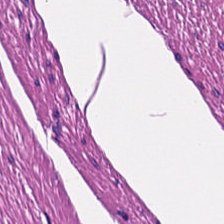Q: Classify this patch.
A: Muscularis.
